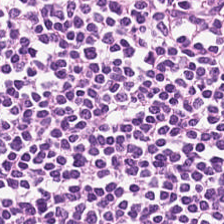H&E stain. Lymphoid infiltrate.
